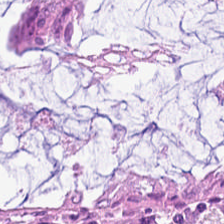Tissue class: normal colonic mucosa.
